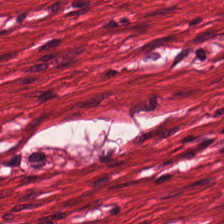H&E stain. Finding — muscularis.
